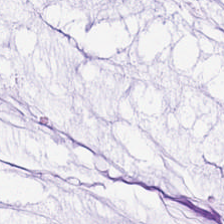Hematoxylin-and-eosin stained section · brightfield — The tissue here is mucin.
